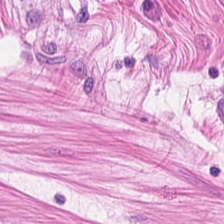20× equivalent magnification · hematoxylin-and-eosin stained section — {"tissue_type": "smooth muscle"}
